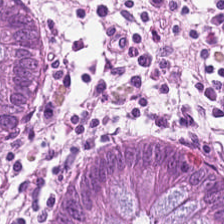Hematoxylin-and-eosin stained section.
Showing benign colonic mucosa.
